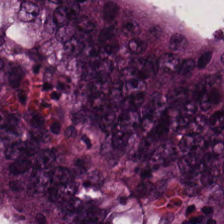Hematoxylin-and-eosin stained section · brightfield. Q: What tissue is shown?
A: The field shows colorectal adenocarcinoma.
